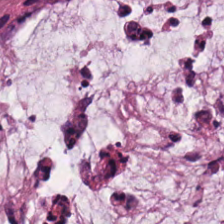Stain: hematoxylin-and-eosin stained section.
Tissue class: extracellular mucin.
